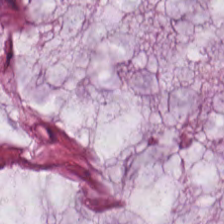H&E — The tissue here is extracellular mucin.
